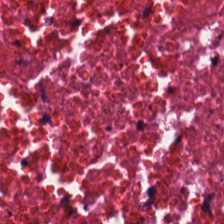Q: Classify this patch.
A: Cellular debris.
